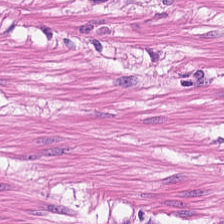Histology — muscularis.
